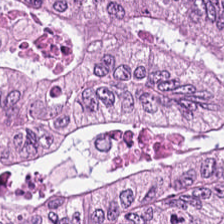Hematoxylin-and-eosin stained section — The classification is colorectal adenocarcinoma.
